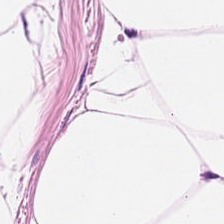H&E-stained section; the field shows adipocytes.
